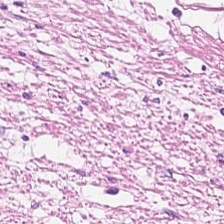H&E — smooth muscle.
